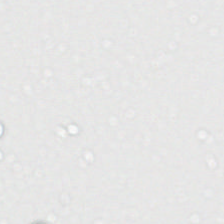Brightfield · hematoxylin-and-eosin stained section.
This field is background (no tissue).
